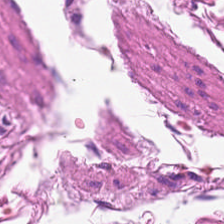Formalin-fixed paraffin-embedded section. H&E stain.
Showing smooth muscle.
